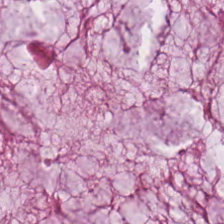Tissue type = mucus.
